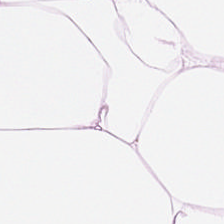Hematoxylin-and-eosin section: fat tissue.
